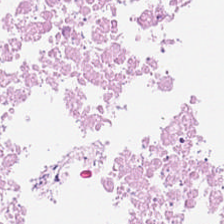The tissue is cellular debris.
